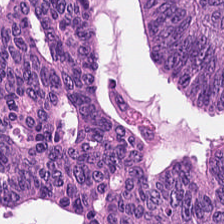H&E-stained tissue section.
Q: Classify this patch.
A: It is tumor epithelium.
